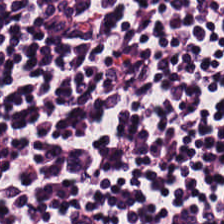Whole-slide-image patch. Hematoxylin-and-eosin stained section.
Q: What tissue type is shown here?
A: It is lymphocytes.
